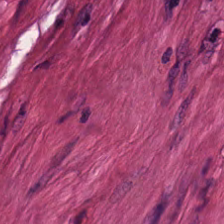H&E. 224×224 px patch.
{"tissue_type": "smooth-muscle tissue"}
